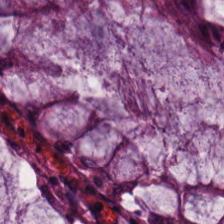H&E-stained tissue section; 224×224 px patch.
Benign colonic mucosa.
